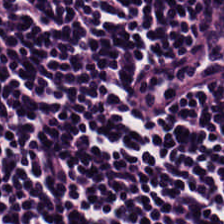Whole-slide-image patch. H&E — Showing lymphocytes.
